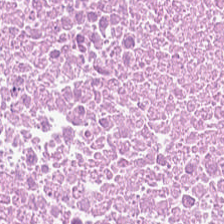H&E-stained tissue section. Tissue type: necrotic debris.
